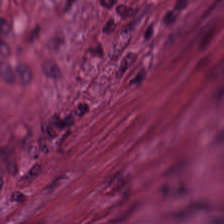Impression → tumor stroma.
